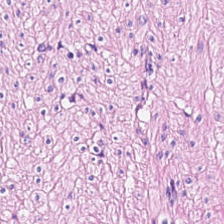H&E-stained tissue section; formalin-fixed paraffin-embedded section — Finding → smooth-muscle tissue.
